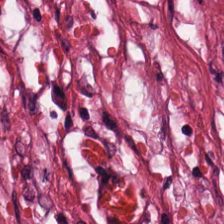H&E stain.
Impression → tumor-associated stroma.
